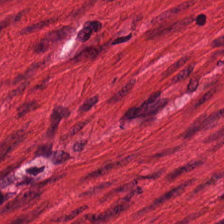Showing smooth muscle.
